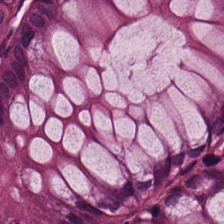Tissue = non-neoplastic colon mucosa.
